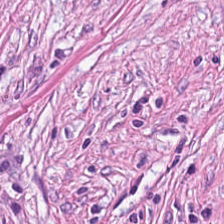Stain: H&E-stained tissue section.
Tissue class: tumor stroma.
